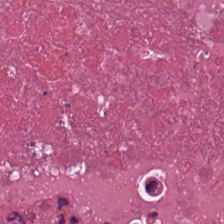Tissue: necrotic debris.
